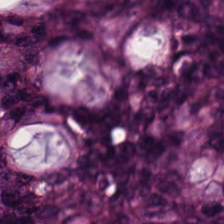Stain: H&E-stained tissue section.
Predominant tissue: colorectal adenocarcinoma.
